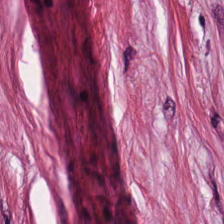Stain: hematoxylin-and-eosin stained section.
Tissue class: cancer-associated stroma.
